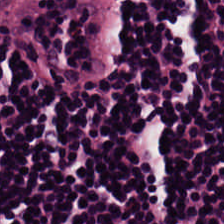0.5 µm/px · H&E-stained tissue section. Showing lymphocytes.
